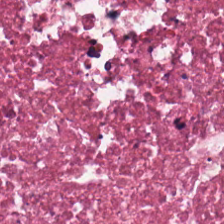H&E stain — Histology → debris.
